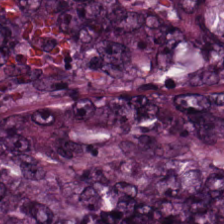Hematoxylin-and-eosin stained section · FFPE tissue section. The tissue type is colorectal adenocarcinoma.
